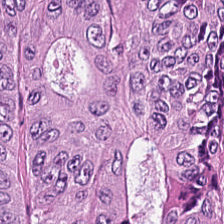Tissue type: tumor epithelium.
